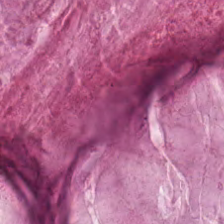Impression → extracellular mucin.
